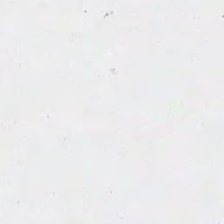H&E. Q: What is shown here?
A: The field shows empty background.
